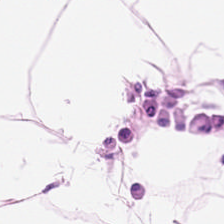Fat tissue.
